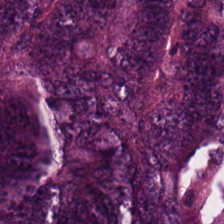H&E; 224×224 px patch — Predominant tissue: colorectal adenocarcinoma epithelium.
